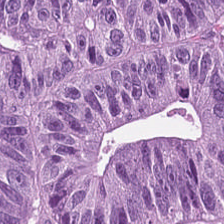224×224 pixel tile · hematoxylin-and-eosin stained section.
Q: What is shown in this field?
A: This is colorectal adenocarcinoma epithelium.
